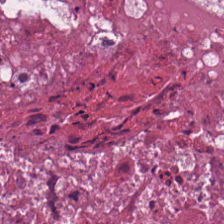Stain: H&E.
Predominant tissue: debris.
